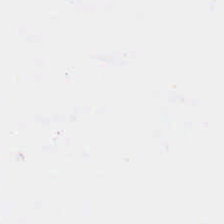Q: Classify this patch.
A: The field shows background (no tissue).
